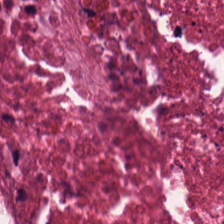H&E stain.
The tissue class is debris.
